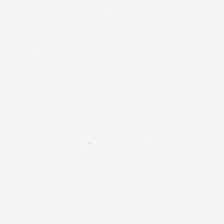Hematoxylin and eosin. 224×224 px tile. Background (no tissue).
